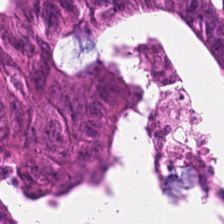224×224 px tile. Hematoxylin-and-eosin stained section. The tissue class is colorectal adenocarcinoma.
